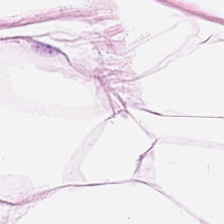H&E stain.
Tissue — fat tissue.
